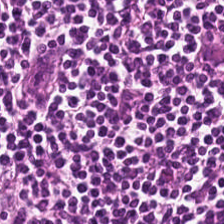Brightfield · hematoxylin and eosin — Histology → lymphocytes.
